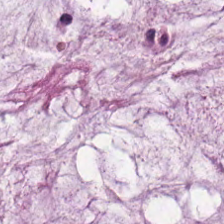H&E. The predominant tissue is mucin.
